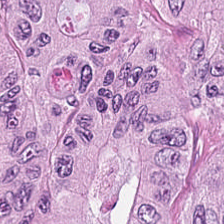{"tissue_type": "malignant epithelium"}
